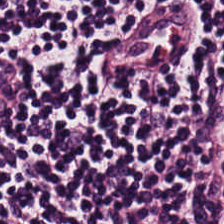{"tissue_type": "lymphocytic infiltrate"}
